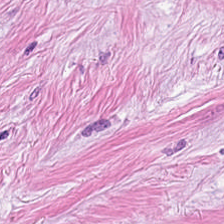The classification is cancer-associated stroma.
